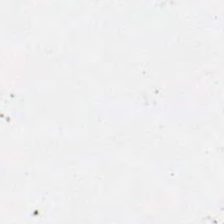Hematoxylin-and-eosin stained section · 0.5 microns per pixel — No tissue present; background only.
